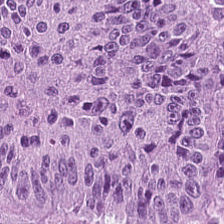Brightfield microscopy · H&E-stained tissue section — Histology — tumor epithelium.
